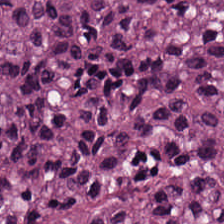Stain: H&E.
Acquisition: brightfield.
Classification: tumor epithelium.
